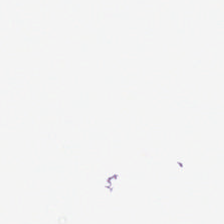H&E-stained tissue section · 0.5 µm/px.
Field content: background (no tissue).
